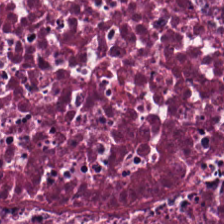H&E stain. Tissue class: debris.
